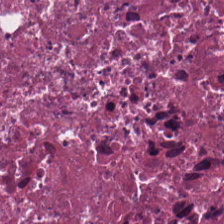Stain: H&E.
Tile size: 224×224 px patch.
Predominant tissue: debris.
